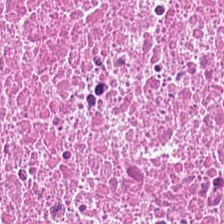H&E-stained tissue section showing cellular debris.
